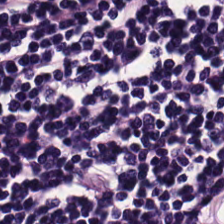H&E stain — Finding — lymphocyte aggregate.
